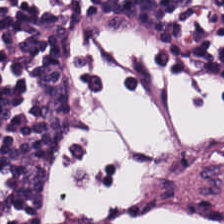H&E stain. Classification: lymphocytes.
